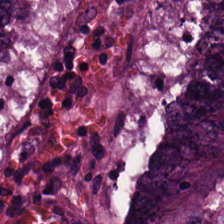Hematoxylin and eosin; brightfield microscopy; 224×224 px tile. This patch shows tumor epithelium.
